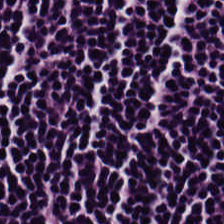Tissue class = lymphocytic infiltrate.
